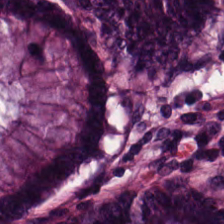FFPE; 224×224 px patch; H&E stain — The tissue here is non-neoplastic colon mucosa.
